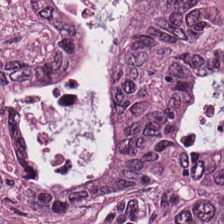H&E. Impression — colorectal adenocarcinoma.
